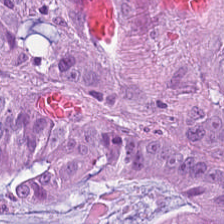H&E stain. Colorectal adenocarcinoma epithelium.
